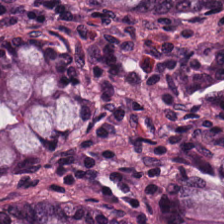Stain: H&E-stained tissue section.
Tile size: 224×224 pixel tile.
Acquisition: brightfield.
Classification: normal colonic mucosa.
